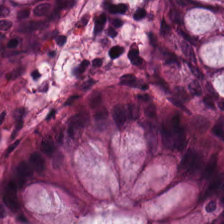Hematoxylin and eosin.
This field is normal colon mucosa.
